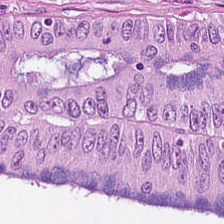FFPE tissue section · H&E.
Q: Identify the tissue.
A: The field shows malignant epithelium.
